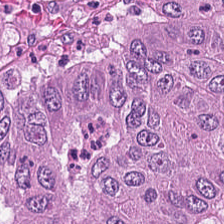Stain: H&E.
Resolution: 0.5 µm per pixel.
Predominant tissue: malignant epithelium.
